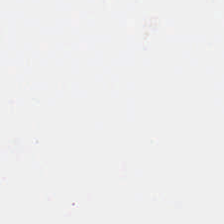H&E.
This field is background (no tissue).
